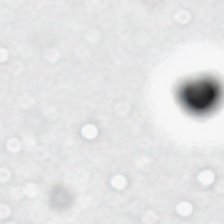Stain: H&E-stained tissue section.
Tile size: 224×224 px patch.
Content: no tissue.
